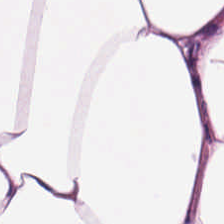Showing adipocytes.
